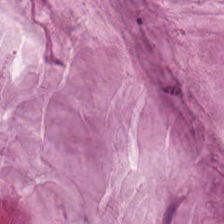H&E-stained tissue section — The classification is mucus.
